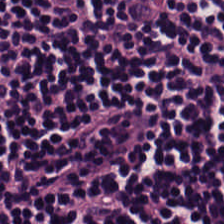WSI patch. H&E stain. {"tissue_type": "lymphoid infiltrate"}
